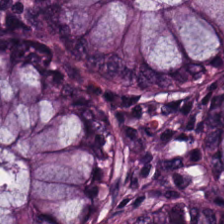{"tissue_type": "benign colonic mucosa"}
